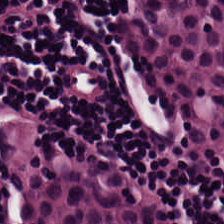Whole-slide-image patch · H&E · 0.5 µm/px. The predominant tissue is lymphoid infiltrate.
